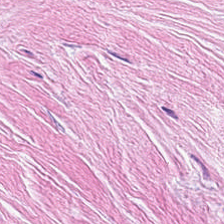The predominant tissue is cancer-associated stroma.
